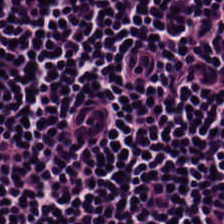Hematoxylin-and-eosin stained section.
Q: What does this patch show?
A: The field shows lymphocytes.
